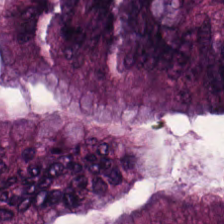Hematoxylin-and-eosin section: colorectal adenocarcinoma epithelium.
